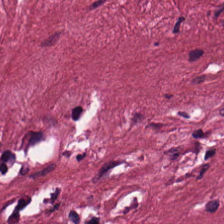The tissue type is cancer-associated stroma.
